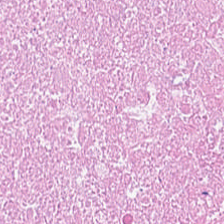Hematoxylin-and-eosin stained section. Necrotic debris.
